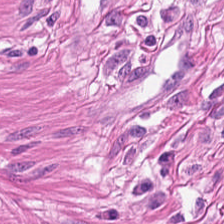H&E patch showing smooth muscle.
